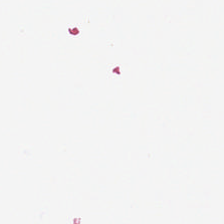No tissue present; background only.
